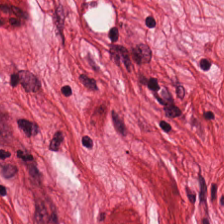H&E-stained tissue section — Muscularis.
